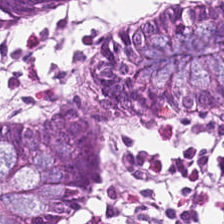Formalin-fixed paraffin-embedded section; H&E stain — Finding → benign colonic mucosa.
